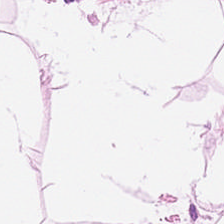Classification: adipose tissue.
